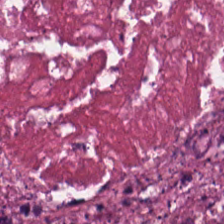FFPE tissue section · H&E-stained tissue section. Q: Identify the tissue.
A: Debris.
